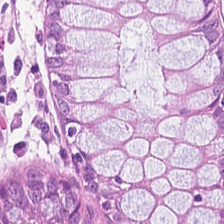FFPE. Hematoxylin-and-eosin stained section. Q: Classify this patch.
A: This is benign colonic mucosa.
